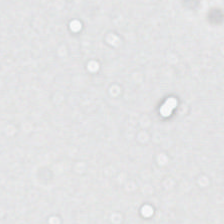H&E-stained tissue section.
Q: What does this patch show?
A: Background.
